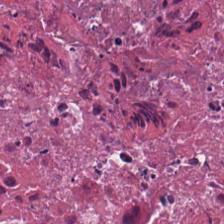WSI patch; 224×224 pixel tile; hematoxylin-and-eosin stained section.
Predominantly cellular debris.
